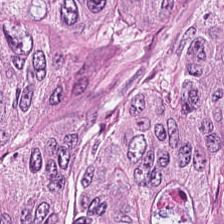Hematoxylin and eosin. Brightfield. FFPE tissue section.
Tissue type = tumor epithelium.
